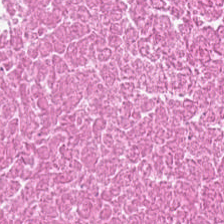Whole-slide-image patch. Hematoxylin-and-eosin stained section. 224×224 px tile. Histology — necrotic debris.
